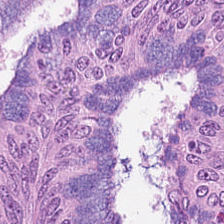0.5 microns per pixel; hematoxylin and eosin.
Predominantly colorectal adenocarcinoma.
